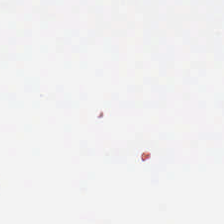Stain: H&E stain.
Resolution: 0.5 µm/px.
Classification: background (no tissue).
